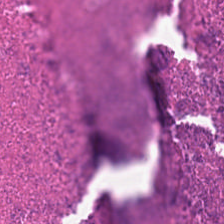20× equivalent magnification · hematoxylin-and-eosin stained section · FFPE. {"tissue_type": "necrotic debris"}
